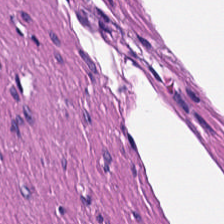Hematoxylin and eosin. WSI patch. Formalin-fixed paraffin-embedded section.
Q: What type of tissue is this?
A: This is muscularis.
